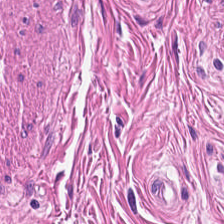Q: What does this patch show?
A: This is muscularis.
